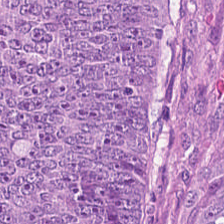H&E-stained tissue section.
The predominant tissue is colorectal adenocarcinoma.
